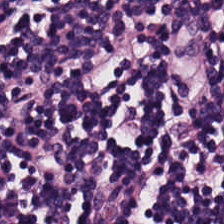H&E patch showing lymphoid infiltrate.
